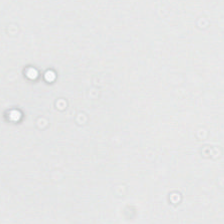Hematoxylin-and-eosin stained section. This field is background (no tissue).
